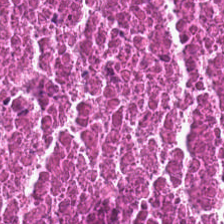Q: Identify the tissue.
A: The field shows cellular debris.
